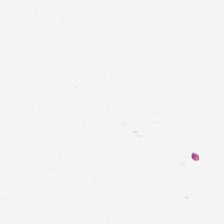Q: What is shown here?
A: Background (no tissue).
